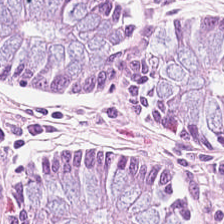Stain: hematoxylin and eosin.
Tissue: normal colonic mucosa.
